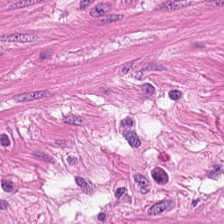Hematoxylin-and-eosin stained section.
The classification is muscularis.
